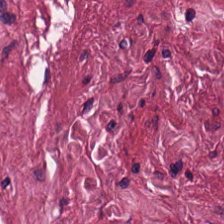Stain: H&E stain.
Predominant tissue: desmoplastic stroma.
